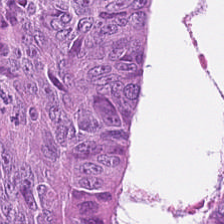Stain: hematoxylin-and-eosin stained section.
Resolution: 0.5 µm per pixel.
Tissue type: malignant epithelium.
